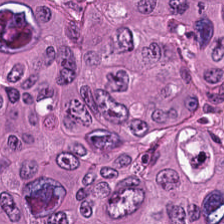224×224 px patch; hematoxylin-and-eosin stained section — Impression → tumor epithelium.
